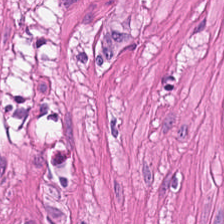Predominant tissue: smooth muscle.
